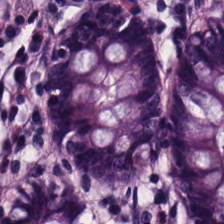224×224 px patch. H&E. Predominant tissue: non-neoplastic colon mucosa.
